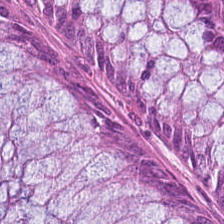Hematoxylin-and-eosin stained section; whole-slide-image patch.
The tissue type is normal colonic mucosa.
